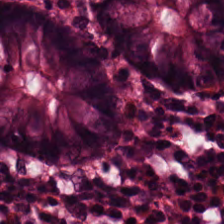H&E.
This field is benign colonic mucosa.
